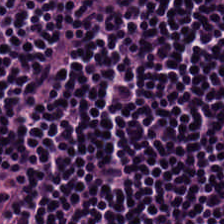0.5 µm per pixel · hematoxylin-and-eosin stained section. Q: What is shown here?
A: It is lymphocytic infiltrate.
